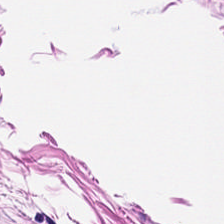Stain: H&E-stained tissue section.
Preparation: formalin-fixed paraffin-embedded section.
Predominant tissue: smooth-muscle tissue.
